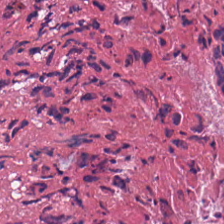Hematoxylin-and-eosin stained section. Classification — cellular debris.
